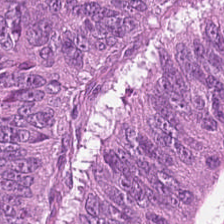Hematoxylin and eosin. Tissue type = malignant epithelium.
